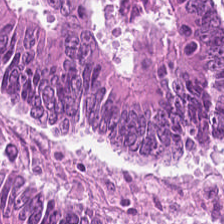224×224 px tile. Hematoxylin and eosin — Predominantly adenocarcinoma.
